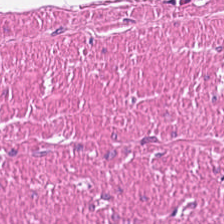20× equivalent magnification; H&E stain.
The tissue class is smooth-muscle tissue.
